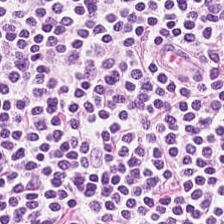Stain: hematoxylin and eosin.
Acquisition: brightfield.
Tissue type: lymphoid infiltrate.
